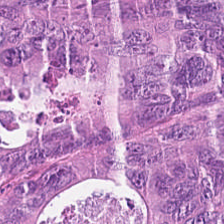Tissue class — colorectal adenocarcinoma.
